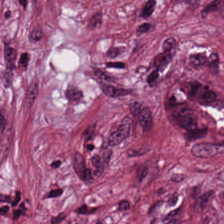Brightfield; hematoxylin and eosin.
This field is tumor stroma.
